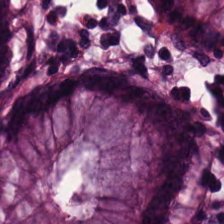{"tissue_type": "normal colon mucosa"}
